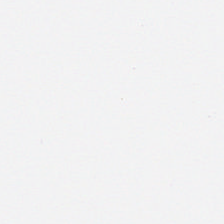Hematoxylin-and-eosin stained section — No tissue present; background only.
